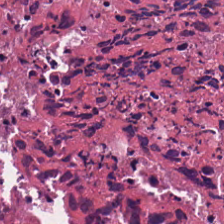This patch shows necrotic debris.
